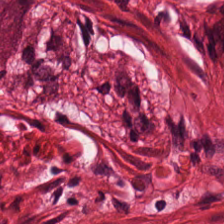224×224 px patch; 0.5 µm/px; hematoxylin-and-eosin stained section — Q: What is the predominant tissue type?
A: The field shows muscularis.
